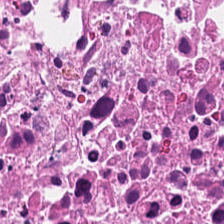H&E-stained tissue section. Showing necrotic debris.
